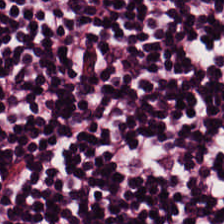Formalin-fixed paraffin-embedded section; 224×224 px tile; H&E-stained tissue section — Q: What is shown here?
A: This is lymphocytes.
